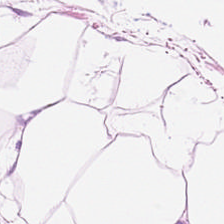Showing adipose tissue.
